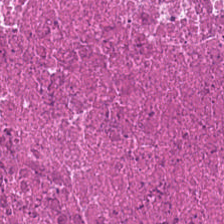Predominantly necrotic debris.
